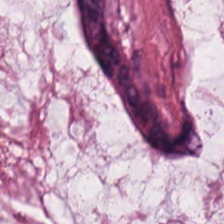Predominant tissue: mucin.
